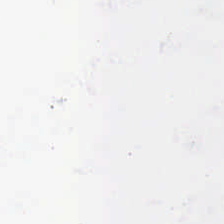Content = background (no tissue).
